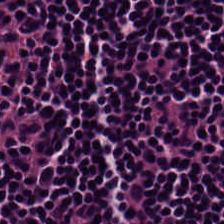Q: What type of tissue is this?
A: This is lymphocytes.
